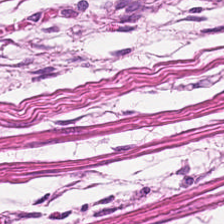0.5 microns per pixel · hematoxylin and eosin. Q: What is shown in this field?
A: The field shows smooth-muscle tissue.
